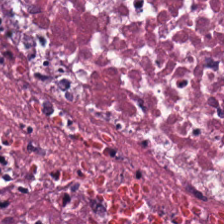H&E. 0.5 µm/px.
Predominant tissue: necrotic debris.
